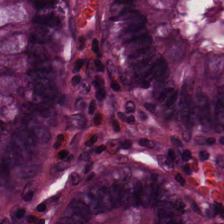Hematoxylin-and-eosin stained section.
Predominant tissue: benign colonic mucosa.
